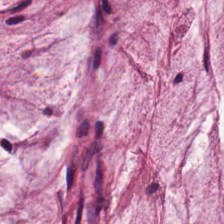Predominant tissue — mucin.
